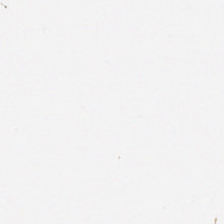Empty field — no tissue.
